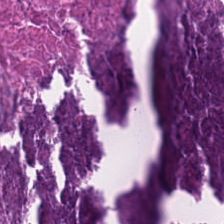H&E. Tissue class: debris.
